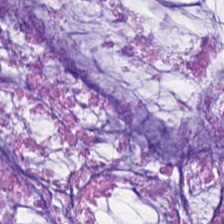0.5 µm per pixel. H&E — The predominant tissue is extracellular mucin.
